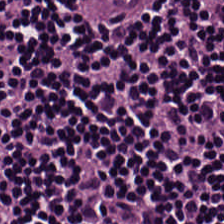H&E stain. Lymphocyte aggregate.
